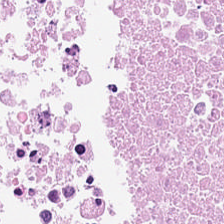Q: What type of tissue is this?
A: The field shows cellular debris.
